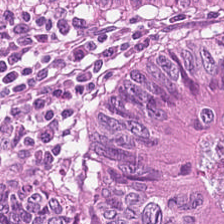Brightfield microscopy · H&E.
Predominant tissue = tumor epithelium.
